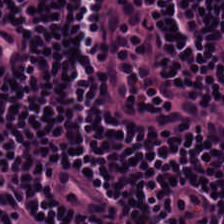H&E. {"tissue_type": "lymphoid infiltrate"}
